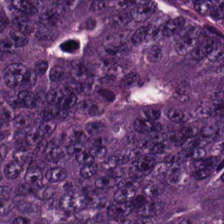Formalin-fixed paraffin-embedded section; WSI patch; H&E.
Histology → colorectal adenocarcinoma epithelium.
